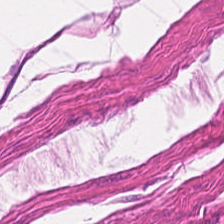Q: Identify the tissue.
A: The field shows muscularis.
